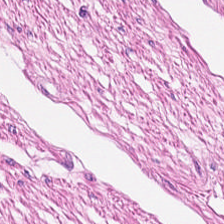Hematoxylin-and-eosin stained section · FFPE — Impression — muscularis.
